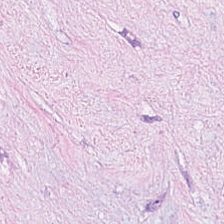Whole-slide-image patch · H&E-stained tissue section. Predominantly tumor stroma.
